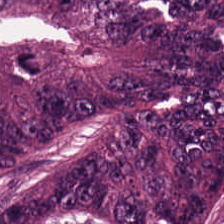Hematoxylin and eosin.
Tissue type — tumor epithelium.
